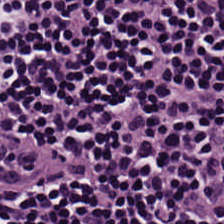224×224 pixel tile. 20× equivalent magnification. H&E. Showing lymphocytes.
